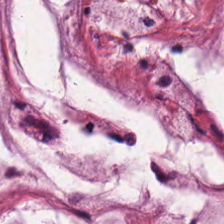Hematoxylin and eosin — Histology — extracellular mucin.
